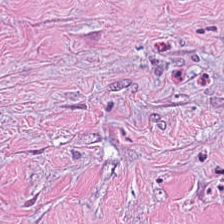H&E-stained tissue section — Q: What type of tissue is this?
A: It is tumor stroma.
